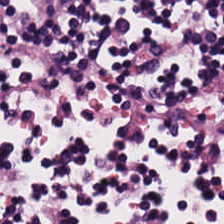Hematoxylin-and-eosin stained section. Tissue class: lymphoid infiltrate.
